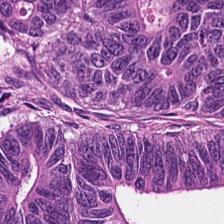H&E-stained tissue section. Brightfield microscopy. This patch shows colorectal adenocarcinoma.
